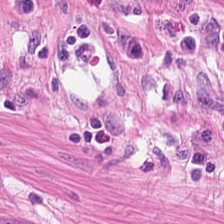H&E-stained tissue section; 224×224 pixel tile. Tissue class: muscularis.
